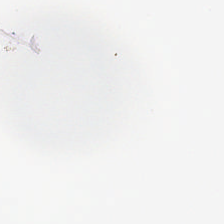Hematoxylin-and-eosin stained section; FFPE — No tissue.
